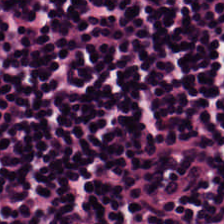Hematoxylin and eosin. FFPE tissue section.
This patch shows lymphoid infiltrate.
